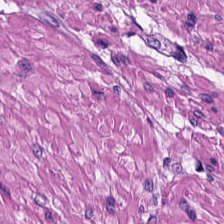Hematoxylin and eosin.
The tissue here is smooth muscle.
